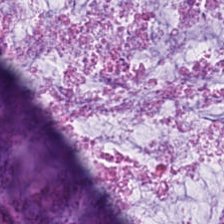Brightfield · hematoxylin-and-eosin stained section · 224×224 px tile — Histology → extracellular mucin.
